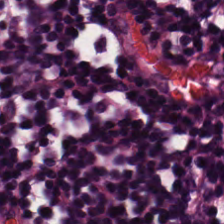Stain: H&E stain.
Predominant tissue: lymphocyte aggregate.
